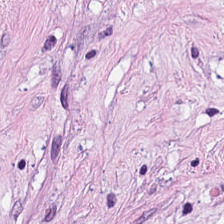H&E-stained tissue section.
{"tissue_type": "tumor-associated stroma"}
